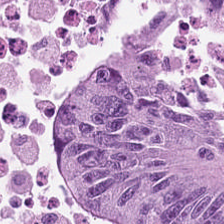Stain: H&E.
Preparation: FFPE.
Tissue: adenocarcinoma.
